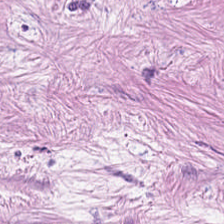Predominantly tumor stroma.
